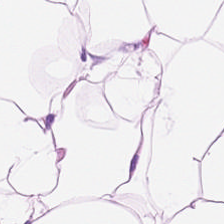Q: What is the predominant tissue type?
A: Adipocytes.
